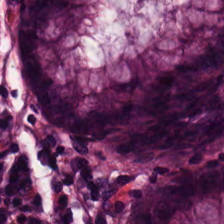WSI patch · H&E stain. Tissue class: normal colonic mucosa.
